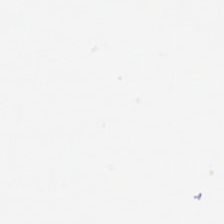224×224 px patch · H&E stain · FFPE tissue section.
No tissue present; background only.
